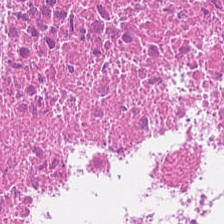Stain: H&E stain.
Tissue: debris.
